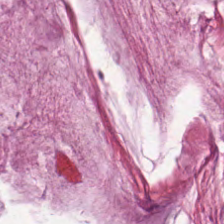H&E stain. {"tissue_type": "mucin"}
